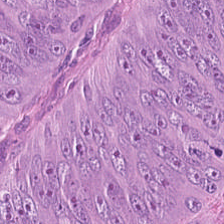Hematoxylin and eosin. Finding — tumor epithelium.
